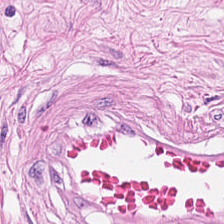0.5 µm per pixel · H&E stain.
Tissue type = muscularis.
